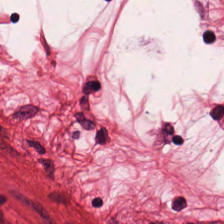Hematoxylin and eosin · 20× equivalent magnification · formalin-fixed paraffin-embedded section. Predominantly muscularis.
